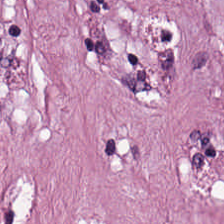Histology → tumor stroma.
